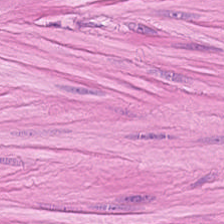Finding — smooth muscle.
